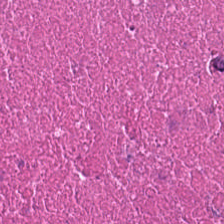H&E; 224×224 px tile — The tissue class is cellular debris.
